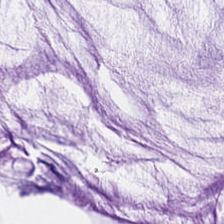Hematoxylin-and-eosin stained section. This field is extracellular mucin.
